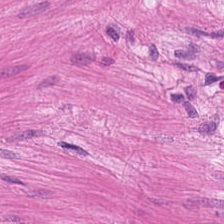H&E stain.
Q: What type of tissue is this?
A: It is muscularis.
